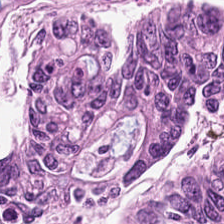H&E-stained tissue section showing tumor epithelium.
